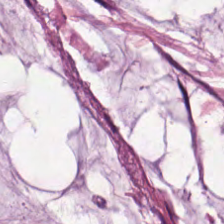Q: What is shown here?
A: Mucus.
